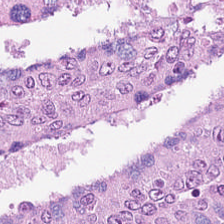H&E-stained tissue section; WSI patch; 224×224 pixel tile.
Histology → colorectal adenocarcinoma.
